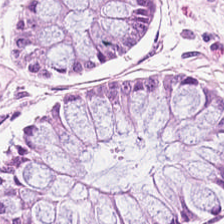20× equivalent magnification; FFPE tissue section; H&E.
This patch shows normal colonic mucosa.
